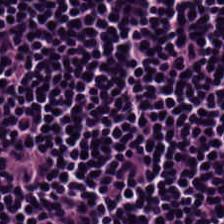Predominant tissue: lymphocytes.
